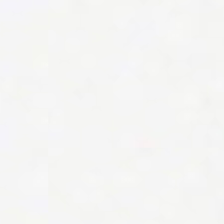This patch shows background (no tissue).
